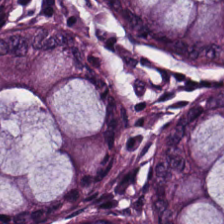H&E — The tissue here is normal colonic mucosa.
